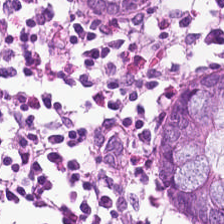Hematoxylin and eosin. Predominant tissue — non-neoplastic colon mucosa.
